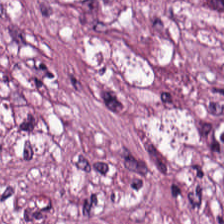H&E stain · 0.5 µm per pixel — This patch shows tumor stroma.
